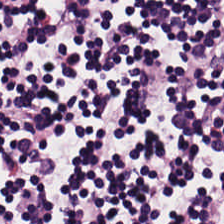H&E-stained tissue section — Finding → lymphoid infiltrate.
